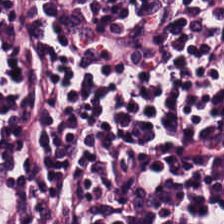Q: What tissue type is shown here?
A: Lymphoid infiltrate.
